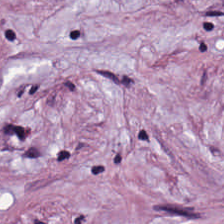The tissue is desmoplastic stroma.
